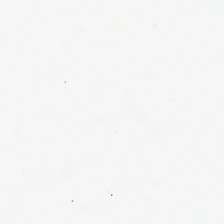Empty field — background.
